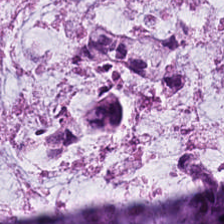Hematoxylin-and-eosin stained section — Histology → mucus.
